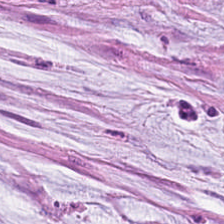Hematoxylin-and-eosin stained section. Predominantly mucus.
